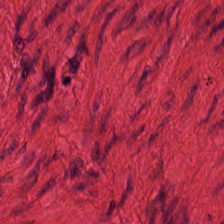Histology → smooth muscle.
